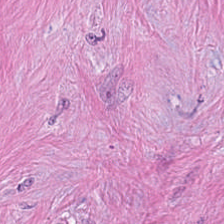H&E-stained tissue section; 0.5 µm per pixel.
Q: Classify this patch.
A: It is tumor-associated stroma.
